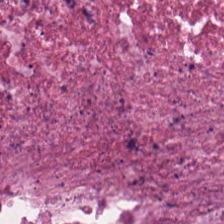Hematoxylin and eosin; brightfield. Q: What is the predominant tissue type?
A: The field shows necrotic debris.
